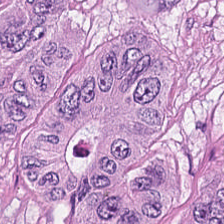Hematoxylin and eosin.
Classification — tumor epithelium.
